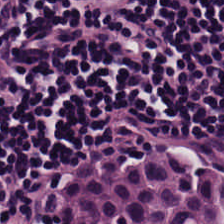H&E. 20× equivalent magnification. The predominant tissue is lymphoid infiltrate.
